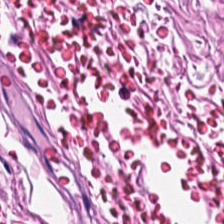Hematoxylin and eosin.
This patch shows smooth muscle.
